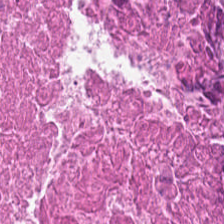Hematoxylin and eosin. Tissue type: cellular debris.
